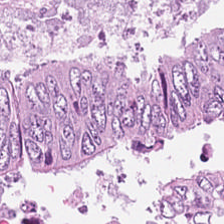This patch shows colorectal adenocarcinoma.
